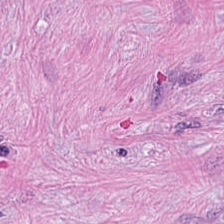Predominant tissue — tumor-associated stroma.
